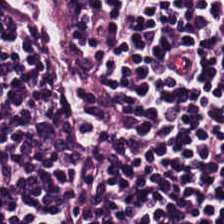{"tissue_type": "lymphocytic infiltrate"}
